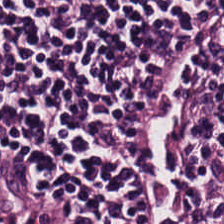H&E-stained tissue section showing lymphocyte aggregate.
